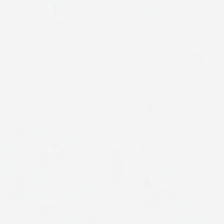Background — no tissue in this field.
